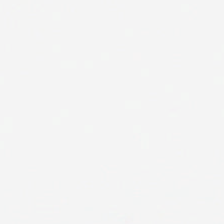H&E-stained tissue section. Empty field — no tissue.
